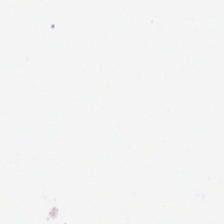H&E — Empty field — background.
